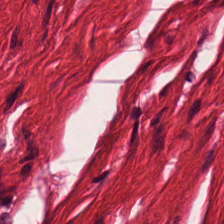H&E stain. WSI patch. The tissue here is muscularis.
